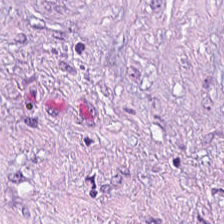Formalin-fixed paraffin-embedded section. 224×224 px tile. H&E stain.
Desmoplastic stroma.
